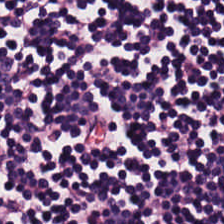FFPE. H&E. The predominant tissue is lymphocytes.
